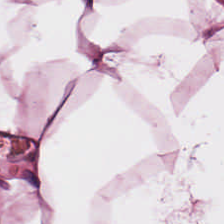FFPE tissue section; H&E stain. Impression — fat tissue.
